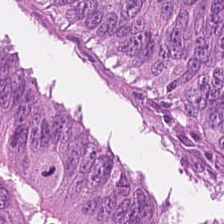H&E-stained tissue section — Tissue = colorectal adenocarcinoma epithelium.
